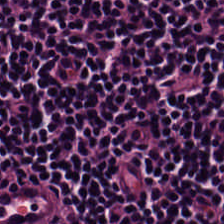H&E — Tissue class = lymphocytes.
